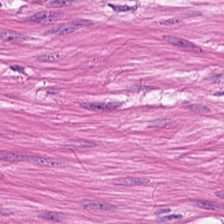H&E-stained tissue section · 224×224 pixel tile · 0.5 µm/px. Q: What tissue type is shown here?
A: Smooth-muscle tissue.
